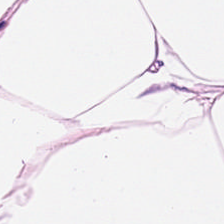H&E stain. Predominantly fat tissue.
